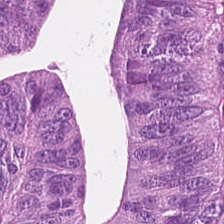Hematoxylin and eosin · 224×224 pixel tile. Malignant epithelium.
